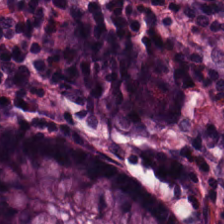Tissue = non-neoplastic colon mucosa.
